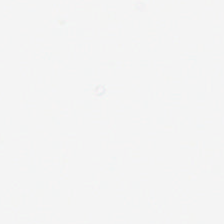H&E stain.
Q: What is shown in this field?
A: No tissue.
